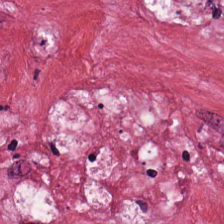Hematoxylin and eosin · FFPE tissue section — Predominantly desmoplastic stroma.
